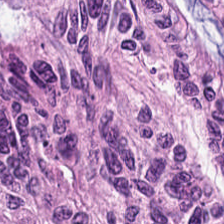Q: What does this patch show?
A: Colorectal adenocarcinoma epithelium.
